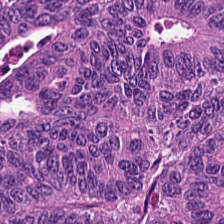Hematoxylin-and-eosin stained section. 20× equivalent magnification. FFPE tissue section.
Predominant tissue: malignant epithelium.
